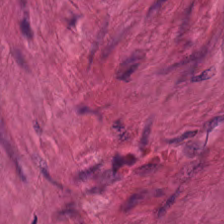224×224 pixel tile · formalin-fixed paraffin-embedded section · hematoxylin-and-eosin stained section. {"tissue_type": "smooth muscle"}
